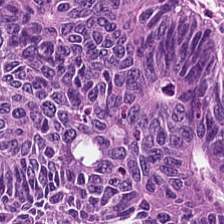WSI patch. Hematoxylin-and-eosin stained section. Formalin-fixed paraffin-embedded section.
Showing adenocarcinoma.
